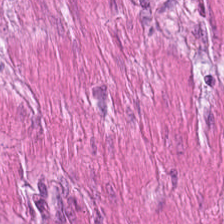The tissue here is muscularis.
